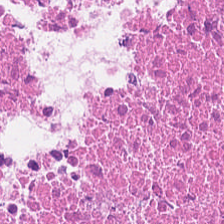H&E-stained tissue section — Q: What is shown here?
A: The field shows cellular debris.
